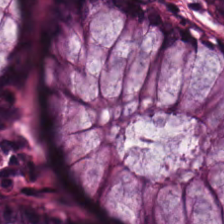Hematoxylin-and-eosin stained section.
Q: What does this patch show?
A: Normal colonic mucosa.
